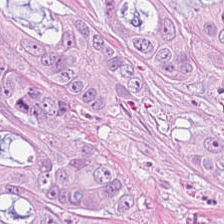Hematoxylin and eosin; whole-slide-image patch.
The classification is adenocarcinoma.
